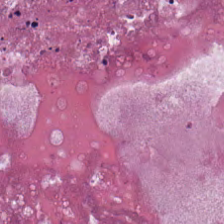H&E.
Showing necrotic debris.
